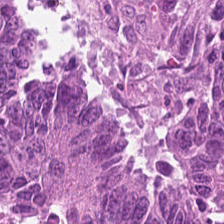Hematoxylin and eosin.
Impression → malignant epithelium.
